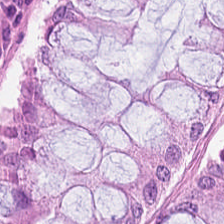224×224 pixel tile · H&E-stained tissue section.
Histology → normal colonic mucosa.
